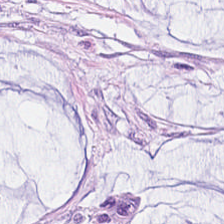H&E — extracellular mucin.
